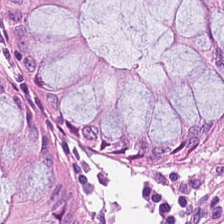H&E-stained tissue section. {"tissue_type": "normal colon mucosa"}
